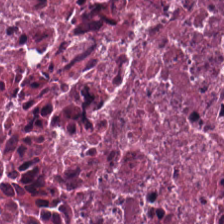Stain: hematoxylin-and-eosin stained section.
Acquisition: brightfield.
Tissue type: necrotic debris.
